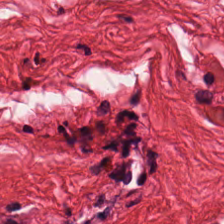H&E-stained tissue section.
This patch shows smooth muscle.
